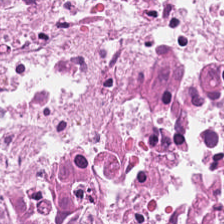The predominant tissue is debris.
